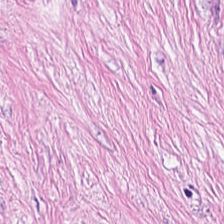Hematoxylin-and-eosin stained section.
The tissue here is tumor stroma.
